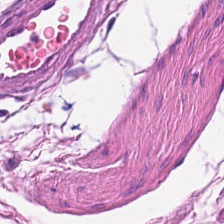20× equivalent magnification. Hematoxylin and eosin — The tissue here is muscularis.
